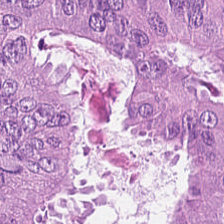Hematoxylin-and-eosin stained section; 0.5 µm/px.
Q: What is shown in this field?
A: The field shows adenocarcinoma.
